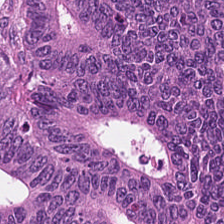Hematoxylin and eosin — {"tissue_type": "adenocarcinoma"}
